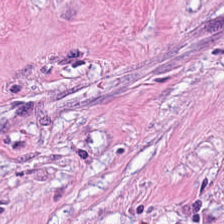224×224 px patch. FFPE. H&E stain — This field is cancer-associated stroma.
